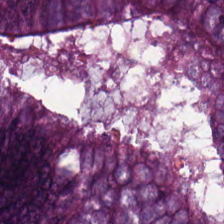Q: What type of tissue is this?
A: It is colorectal adenocarcinoma.
